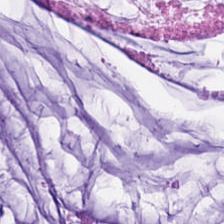Stain: hematoxylin-and-eosin stained section.
Preparation: FFPE tissue section.
Classification: extracellular mucin.
